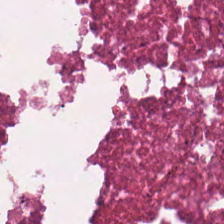H&E stain; FFPE tissue section — Finding — debris.
